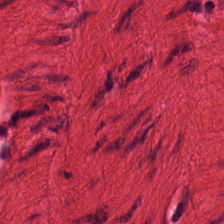Hematoxylin and eosin. The predominant tissue is smooth muscle.
